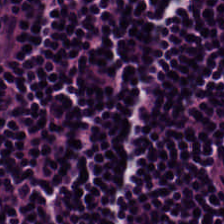224×224 pixel tile; H&E — Impression — lymphocytic infiltrate.
